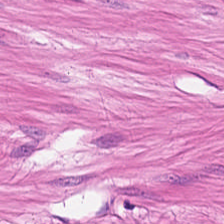Hematoxylin and eosin.
Showing muscularis.
